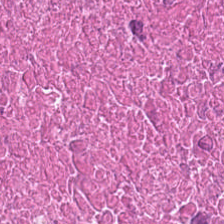H&E-stained tissue section. 224×224 pixel tile. 20× equivalent magnification — Tissue = cellular debris.
